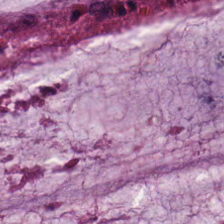H&E.
Predominantly extracellular mucin.
